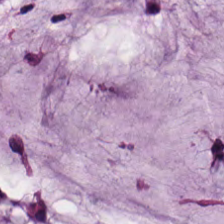Tissue class — mucin.
